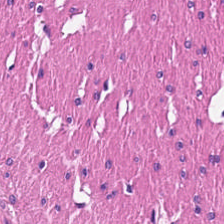{"tissue_type": "smooth-muscle tissue"}
